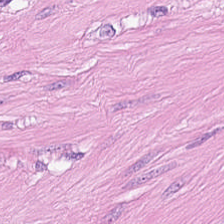Q: What is the predominant tissue type?
A: It is smooth muscle.
